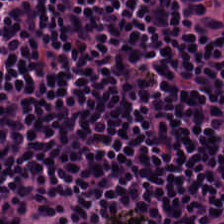Stain: H&E stain.
Tissue class: lymphocyte aggregate.
